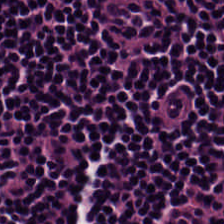FFPE tissue section. 224×224 px patch. Hematoxylin-and-eosin stained section.
The tissue type is lymphocytes.
